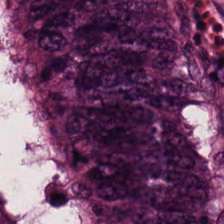0.5 µm per pixel; hematoxylin-and-eosin stained section; FFPE. The predominant tissue is adenocarcinoma.
